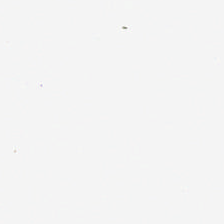224×224 pixel tile · hematoxylin and eosin.
Classification — background.
